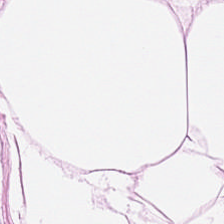Classification = adipocytes.
